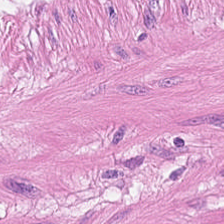224×224 px tile; hematoxylin and eosin; 0.5 µm/px. Tissue = smooth-muscle tissue.
